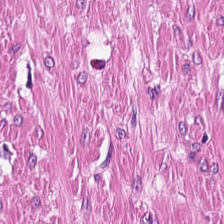H&E stain · brightfield microscopy.
Tissue: smooth muscle.
